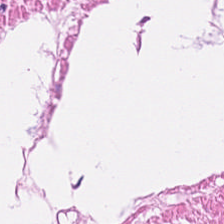Tissue class = muscularis.
